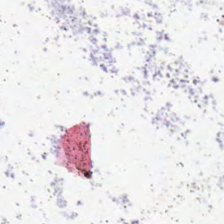Hematoxylin-and-eosin stained section. 224×224 px patch — This field is background (no tissue).
